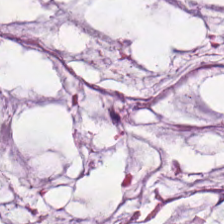Stain: H&E.
Tissue type: mucus.
